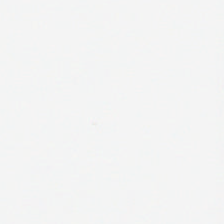Formalin-fixed paraffin-embedded section. WSI patch. H&E. No tissue present; background only.
